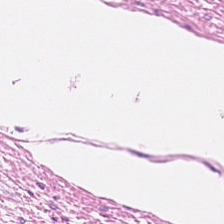Hematoxylin-and-eosin stained section; formalin-fixed paraffin-embedded section.
Muscularis.
